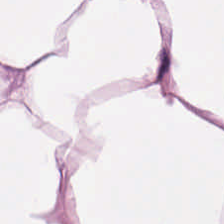224×224 px tile; 0.5 microns per pixel; H&E-stained tissue section — Q: What does this patch show?
A: The field shows adipose.
